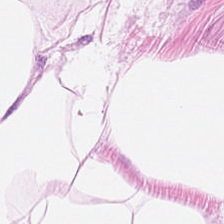Formalin-fixed paraffin-embedded section; hematoxylin and eosin; 224×224 px tile — Predominantly adipose tissue.
